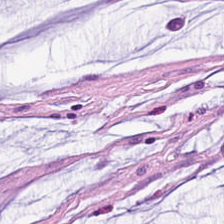H&E-stained tissue section. Q: What does this patch show?
A: It is mucin.
